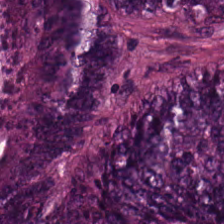0.5 µm per pixel · H&E stain.
Predominantly colorectal adenocarcinoma.
